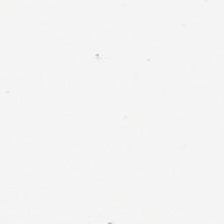Finding → background (no tissue).
